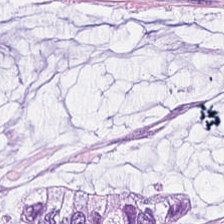224×224 pixel tile. Hematoxylin-and-eosin stained section. 0.5 µm per pixel. The predominant tissue is extracellular mucin.
